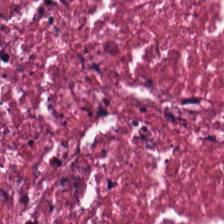The tissue here is necrotic debris.
